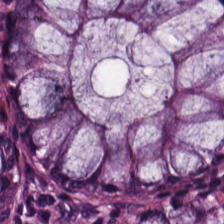224×224 pixel tile. Hematoxylin-and-eosin stained section. This field is benign colonic mucosa.
